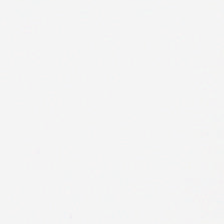Stain: H&E stain.
Resolution: 0.5 µm per pixel.
Field content: empty background.
